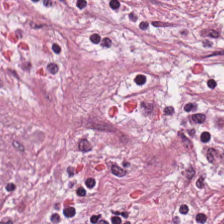Stain: H&E.
Resolution: 0.5 microns per pixel.
Tissue class: cancer-associated stroma.
